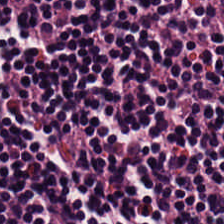H&E — lymphoid infiltrate.
